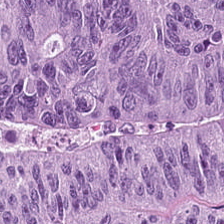Histology — adenocarcinoma.
